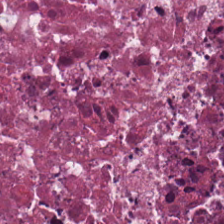Classification — necrotic debris.
